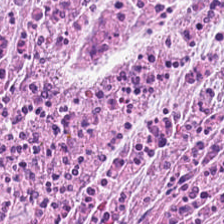Stain: H&E.
Tissue class: tumor-associated stroma.
